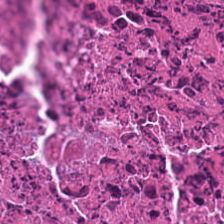Hematoxylin and eosin — Tissue type: necrotic debris.
